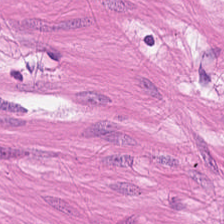0.5 microns per pixel · hematoxylin and eosin. Q: Identify the tissue.
A: Smooth-muscle tissue.
